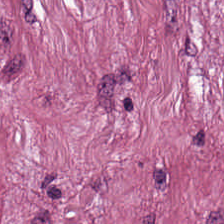Hematoxylin-and-eosin section: tumor-associated stroma.
